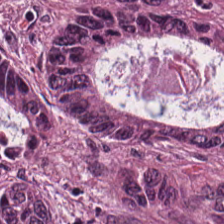Tissue type: adenocarcinoma.
